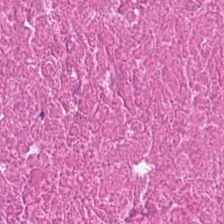H&E-stained tissue section. Brightfield microscopy — Tissue = cellular debris.
